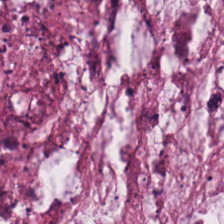Hematoxylin and eosin.
Predominant tissue: mucin.
